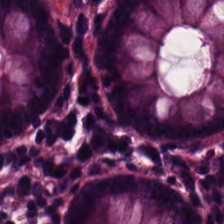Tissue class — benign colonic mucosa.
